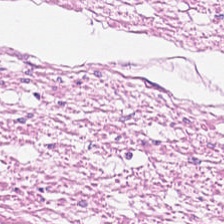This patch shows smooth muscle.
